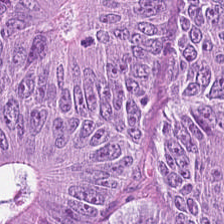H&E stain · 224×224 px tile · 0.5 µm/px.
Predominant tissue: adenocarcinoma.
